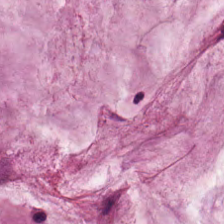H&E stain · formalin-fixed paraffin-embedded section · 0.5 µm per pixel. Q: What tissue is shown?
A: The field shows mucus.
